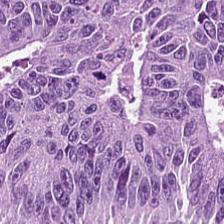224×224 px tile · FFPE · H&E.
Showing colorectal adenocarcinoma.
